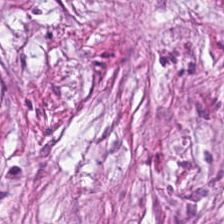H&E; 20× equivalent magnification.
This field is desmoplastic stroma.
